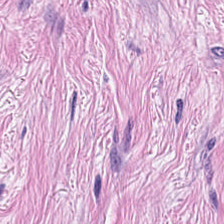H&E-stained tissue section.
The tissue here is tumor-associated stroma.
